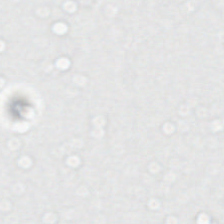FFPE tissue section. 20× equivalent magnification. H&E.
Finding → background.
